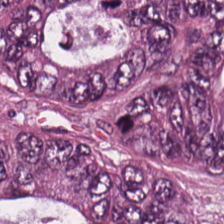Hematoxylin-and-eosin stained section — This patch shows colorectal adenocarcinoma.
